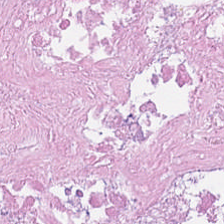H&E-stained tissue section — {"tissue_type": "necrotic debris"}
